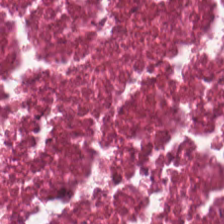This patch shows debris.
